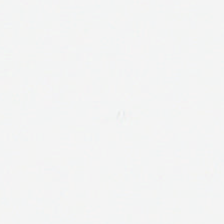H&E-stained tissue section. Q: Classify this patch.
A: No tissue.
